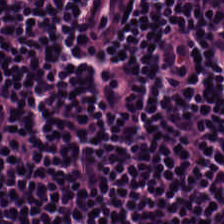Hematoxylin and eosin.
This field is lymphocytes.
